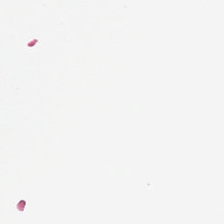Stain: hematoxylin-and-eosin stained section.
Classification: no tissue.
